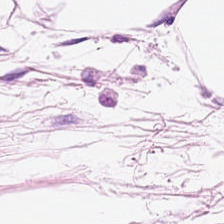This field is adipocytes.
